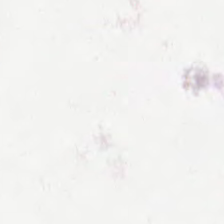H&E-stained tissue section — Q: What is shown here?
A: The field shows background (no tissue).
